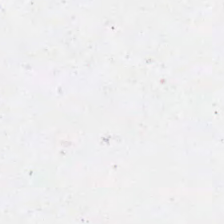Whole-slide-image patch. 0.5 microns per pixel. H&E-stained tissue section. {"content": "empty background"}
